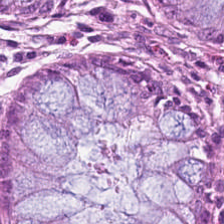H&E.
{"tissue_type": "normal colonic mucosa"}
